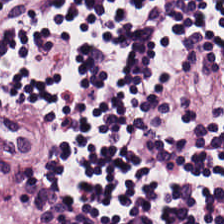H&E stain — The tissue class is lymphoid infiltrate.
